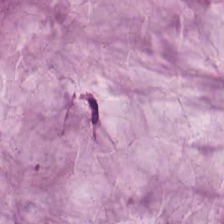Formalin-fixed paraffin-embedded section · H&E-stained tissue section · brightfield — Q: What is shown in this field?
A: This is mucin.
